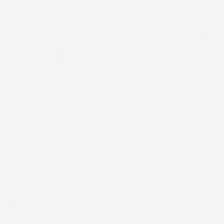Stain: H&E-stained tissue section.
Field content: no tissue.
